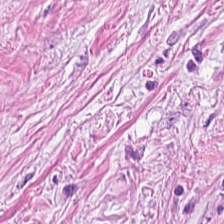H&E-stained tissue section; formalin-fixed paraffin-embedded section — The predominant tissue is tumor-associated stroma.
